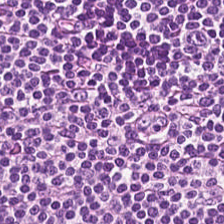Stain: H&E.
Tissue class: lymphocyte aggregate.
